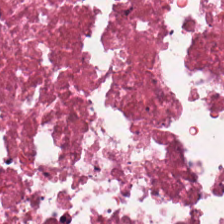20× equivalent magnification; H&E; formalin-fixed paraffin-embedded section — Showing necrotic debris.
